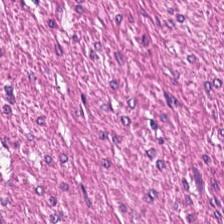FFPE tissue section. H&E-stained tissue section. This patch shows smooth-muscle tissue.
